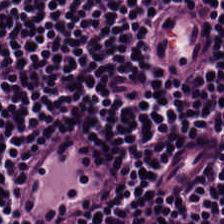Stain: H&E-stained tissue section.
Classification: lymphocytes.
